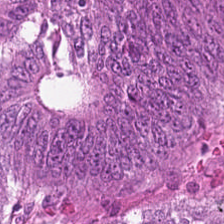Q: What is shown in this field?
A: The field shows tumor epithelium.
